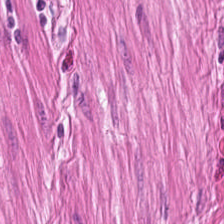H&E — The tissue here is muscularis.
